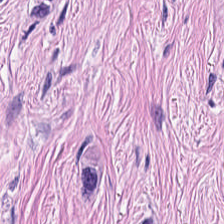H&E. Tissue — tumor stroma.
